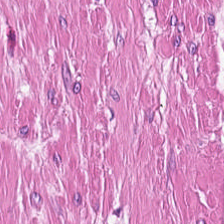Tissue class — smooth muscle.
